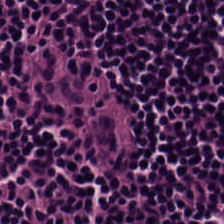Hematoxylin-and-eosin stained section.
Lymphocyte aggregate.
